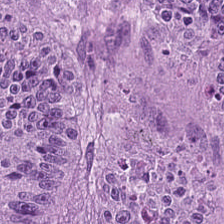Brightfield. Hematoxylin and eosin. FFPE tissue section.
The tissue here is tumor epithelium.
